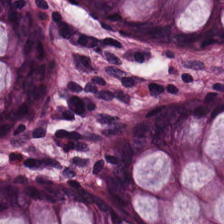H&E-stained tissue section.
The predominant tissue is normal colonic mucosa.
